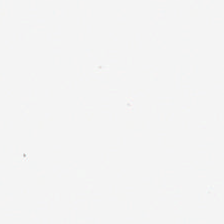Hematoxylin-and-eosin stained section; brightfield; 224×224 px patch. This patch shows no tissue.
